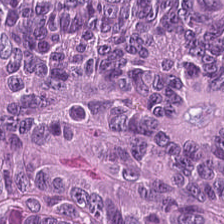Formalin-fixed paraffin-embedded section; hematoxylin and eosin; brightfield.
The tissue here is colorectal adenocarcinoma.
